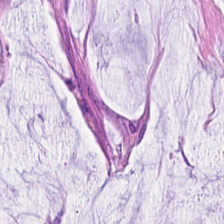Stain: H&E-stained tissue section.
Tissue: extracellular mucin.
